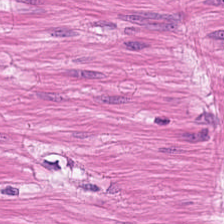H&E · formalin-fixed paraffin-embedded section.
Q: What type of tissue is this?
A: It is muscularis.
